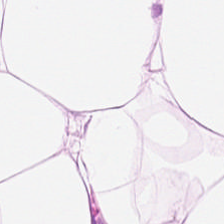0.5 µm per pixel; H&E. This patch shows adipocytes.
